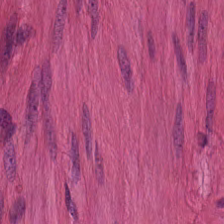0.5 µm/px; H&E-stained tissue section — Impression → smooth-muscle tissue.
